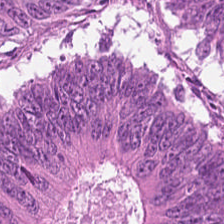Hematoxylin-and-eosin stained section.
Showing malignant epithelium.
